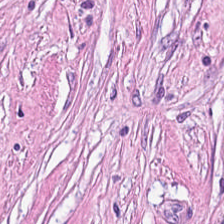H&E patch showing cancer-associated stroma.
